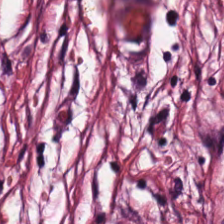The tissue here is tumor-associated stroma.
